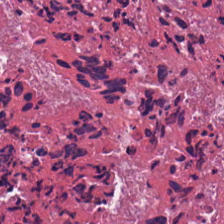Brightfield microscopy; hematoxylin and eosin; 224×224 pixel tile — Q: What tissue type is shown here?
A: Debris.
